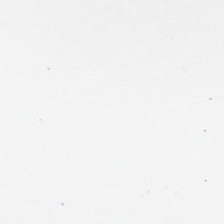H&E. 0.5 microns per pixel — Empty field — no tissue.
